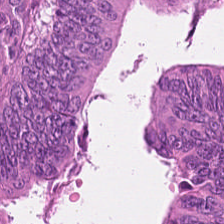H&E-stained tissue section. 20× equivalent magnification. 224×224 px patch.
Q: Identify the tissue.
A: This is tumor epithelium.
